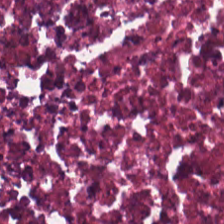Hematoxylin-and-eosin stained section. Debris.
